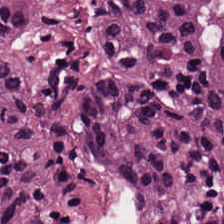The predominant tissue is colorectal adenocarcinoma.
